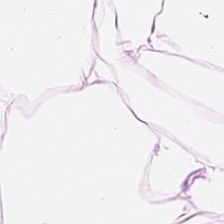H&E stain.
Showing adipose tissue.
